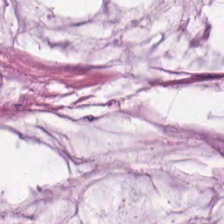H&E-stained tissue section.
Predominant tissue — extracellular mucin.
